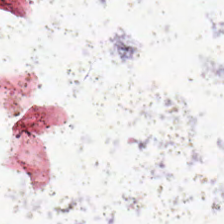Content: no tissue.
